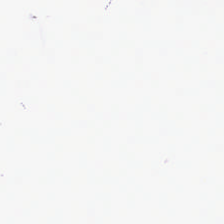Stain: hematoxylin-and-eosin stained section.
Classification: empty background.
